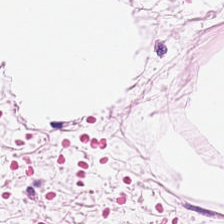Q: What does this patch show?
A: Fat tissue.
